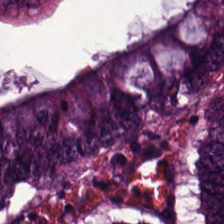Hematoxylin and eosin · brightfield microscopy. Predominantly adenocarcinoma.
